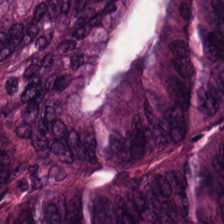Stain: H&E-stained tissue section.
Predominant tissue: adenocarcinoma.
